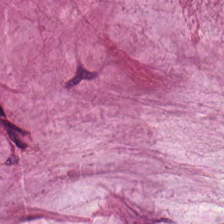Formalin-fixed paraffin-embedded section. 0.5 µm/px. H&E. Finding → mucin.
